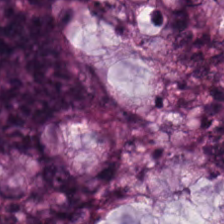Tissue class: adenocarcinoma.
